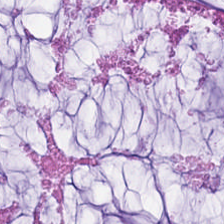Classification: mucus.
